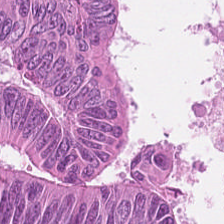Predominantly malignant epithelium.
